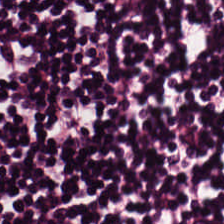Hematoxylin-and-eosin stained section; 224×224 px tile; formalin-fixed paraffin-embedded section. Lymphocytic infiltrate.
